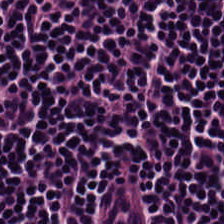This field is lymphocytic infiltrate.
